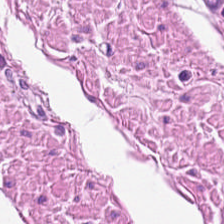Finding — smooth muscle.
